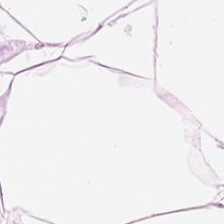H&E-stained tissue section showing adipose.
